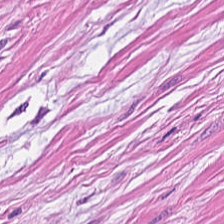H&E stain. Formalin-fixed paraffin-embedded section. Q: What is shown in this field?
A: This is smooth-muscle tissue.
